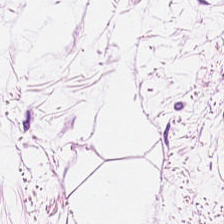H&E-stained tissue section · 0.5 microns per pixel · 224×224 px patch.
This patch shows fat tissue.
